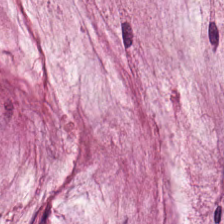Brightfield · H&E stain — Classification — extracellular mucin.
